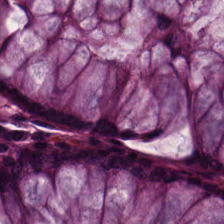Predominantly normal colon mucosa.
